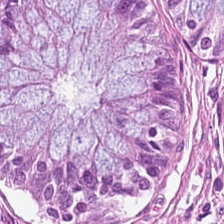Predominantly normal colon mucosa.
